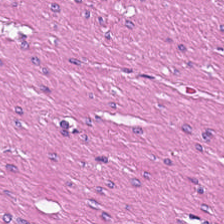Formalin-fixed paraffin-embedded section · H&E — The predominant tissue is muscularis.
